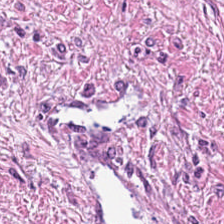Hematoxylin-and-eosin stained section. Whole-slide-image patch.
Q: What does this patch show?
A: Tumor-associated stroma.
